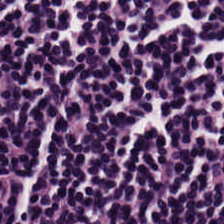224×224 px patch · H&E stain — Showing lymphocyte aggregate.
